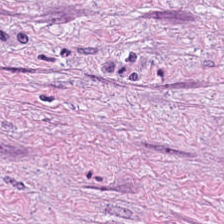H&E-stained tissue section — Predominantly desmoplastic stroma.
